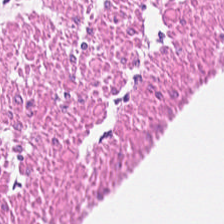Q: What is shown in this field?
A: Smooth muscle.
